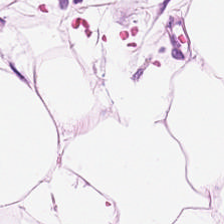224×224 px tile · hematoxylin-and-eosin stained section — Tissue class: adipose tissue.
